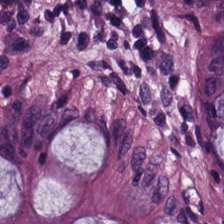Hematoxylin-and-eosin stained section — Showing benign colonic mucosa.
